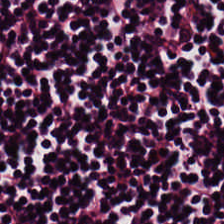H&E. The predominant tissue is lymphocyte aggregate.
